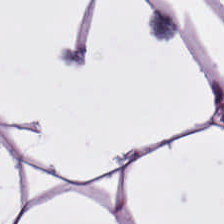H&E — Tissue class — adipose tissue.
